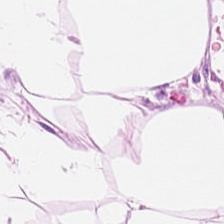Hematoxylin and eosin.
This field is fat tissue.
